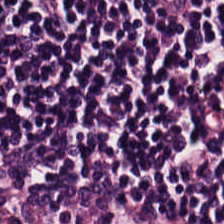FFPE. H&E-stained tissue section. 0.5 microns per pixel. Finding → lymphocytic infiltrate.
